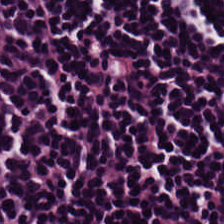H&E · 224×224 pixel tile.
The predominant tissue is lymphoid infiltrate.
